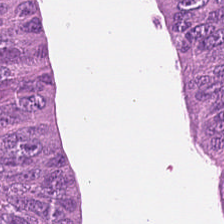Stain: H&E stain.
Tissue class: colorectal adenocarcinoma epithelium.
